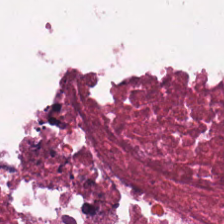H&E.
Necrotic debris.
